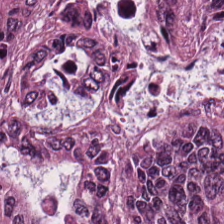Hematoxylin and eosin. The tissue type is malignant epithelium.
